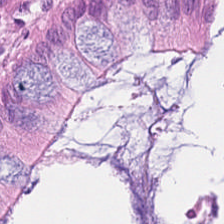H&E. Non-neoplastic colon mucosa.
